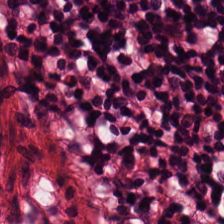Showing lymphocytic infiltrate.
